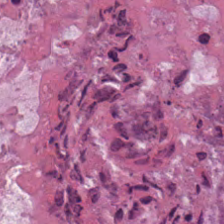H&E stain — Finding → cellular debris.
